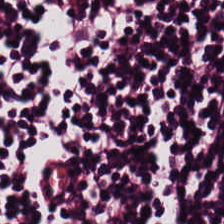H&E-stained tissue section · 224×224 px tile — Tissue — lymphocyte aggregate.
